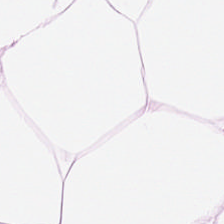Stain: H&E-stained tissue section.
Preparation: FFPE.
Acquisition: brightfield microscopy.
Tissue type: fat tissue.
